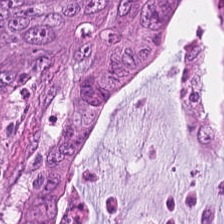Hematoxylin-and-eosin stained section. {"tissue_type": "colorectal adenocarcinoma epithelium"}
